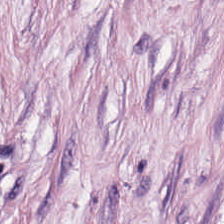FFPE; H&E.
Tissue type — tumor-associated stroma.
